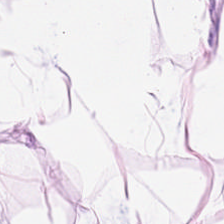H&E · 0.5 microns per pixel · formalin-fixed paraffin-embedded section.
Q: What is the predominant tissue type?
A: Adipose.
